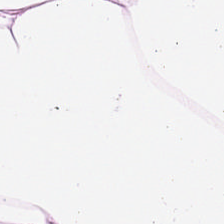Histology — adipose tissue.
